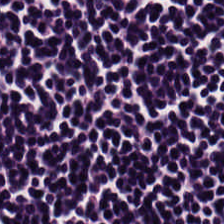Hematoxylin and eosin — Histology — lymphoid infiltrate.
